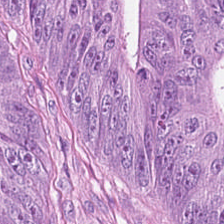H&E stain.
Colorectal adenocarcinoma.
